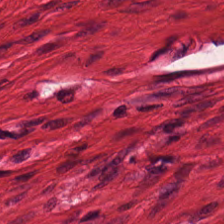Hematoxylin-and-eosin stained section — The predominant tissue is muscularis.
